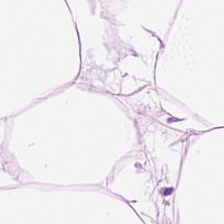Q: What tissue is shown?
A: The field shows adipose.
